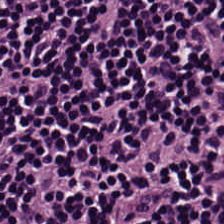Q: What tissue type is shown here?
A: This is lymphoid infiltrate.
